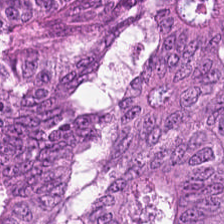H&E stain — Q: What tissue type is shown here?
A: This is colorectal adenocarcinoma.
